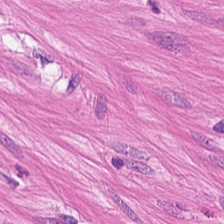Hematoxylin-and-eosin stained section. 0.5 µm/px.
Q: What tissue is shown?
A: Smooth muscle.
